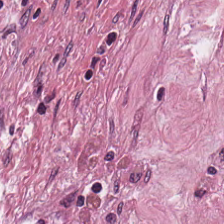The predominant tissue is tumor-associated stroma.
